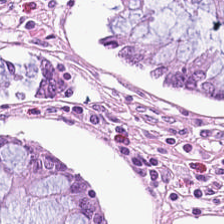The tissue class is normal colonic mucosa.
